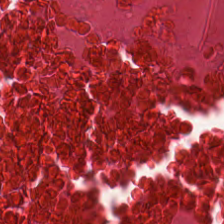Q: What tissue is shown?
A: Debris.
